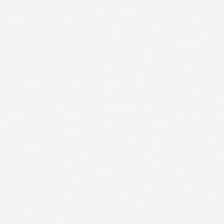FFPE tissue section; H&E-stained tissue section.
Classification — background.
